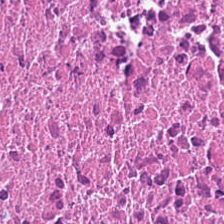Showing cellular debris.
